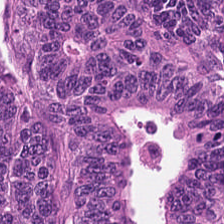The tissue here is adenocarcinoma.
